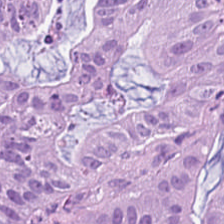H&E stain · 0.5 µm per pixel · brightfield.
Predominantly tumor epithelium.
